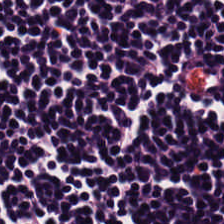Hematoxylin-and-eosin stained section — The tissue here is lymphoid infiltrate.
